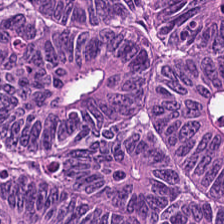WSI patch. 0.5 microns per pixel. Hematoxylin and eosin — The tissue here is colorectal adenocarcinoma epithelium.
